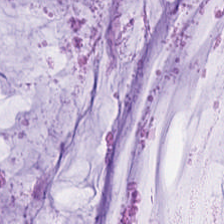H&E-stained tissue section.
Showing mucus.
